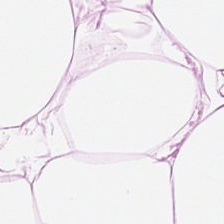H&E-stained tissue section — The predominant tissue is adipose.
